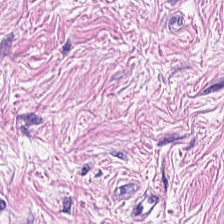H&E-stained tissue section — The predominant tissue is tumor stroma.
